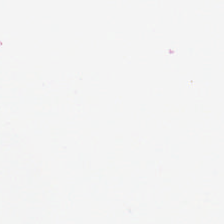H&E stain.
This field is background (no tissue).
